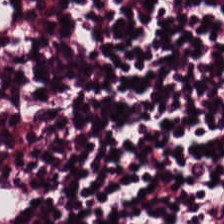FFPE tissue section. H&E stain — {"tissue_type": "lymphocytes"}
